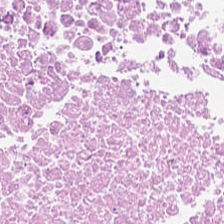Brightfield · H&E. Showing necrotic debris.
